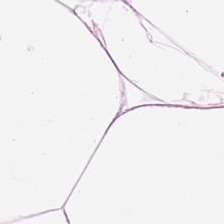H&E.
Impression — adipose.
